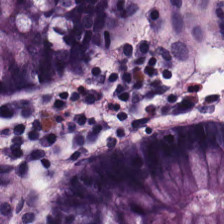Hematoxylin-and-eosin stained section. The tissue class is normal colon mucosa.
